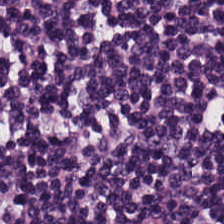Hematoxylin-and-eosin stained section. {"tissue_type": "lymphocytes"}
